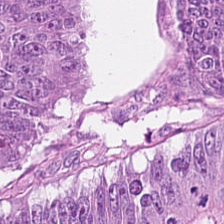Stain: hematoxylin and eosin.
Acquisition: WSI patch.
Classification: colorectal adenocarcinoma epithelium.
